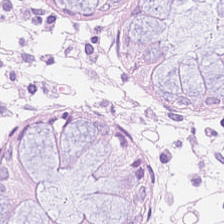H&E-stained tissue section. Normal colon mucosa.
